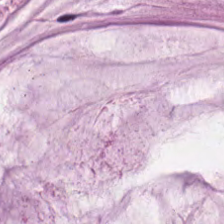H&E-stained tissue section.
This patch shows mucus.
